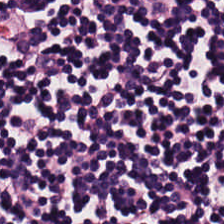H&E.
The tissue here is lymphocytes.
